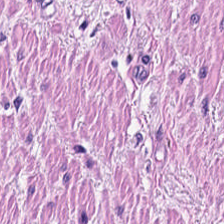{"tissue_type": "muscularis"}
